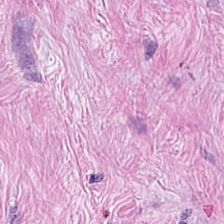H&E-stained tissue section. Tissue — tumor-associated stroma.
